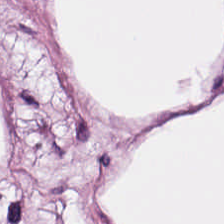Hematoxylin-and-eosin stained section; 0.5 microns per pixel — Finding → adipocytes.
